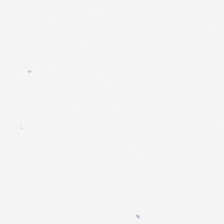Stain: hematoxylin and eosin.
Field content: background.
